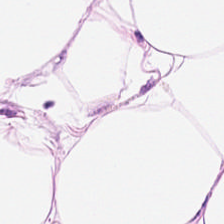20× equivalent magnification · H&E · 224×224 px patch.
Q: What is the predominant tissue type?
A: The field shows fat tissue.
